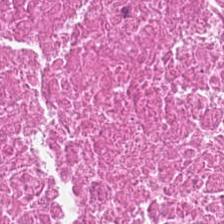Stain: hematoxylin and eosin.
Tile size: 224×224 px patch.
Acquisition: WSI patch.
Tissue: necrotic debris.
